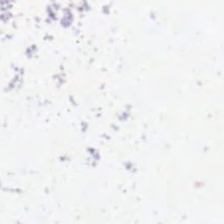H&E — Finding — background.
